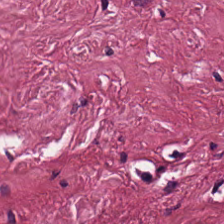Hematoxylin-and-eosin stained section — {"tissue_type": "desmoplastic stroma"}
